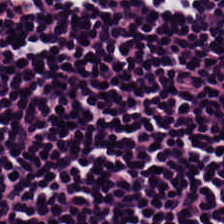224×224 px tile. Hematoxylin-and-eosin stained section — {"tissue_type": "lymphocytic infiltrate"}
